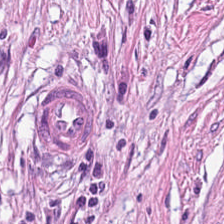H&E stain — This patch shows tumor stroma.
